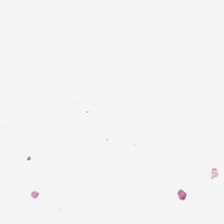H&E stain. 224×224 pixel tile. 0.5 µm per pixel. Q: What is shown here?
A: This is no tissue.
